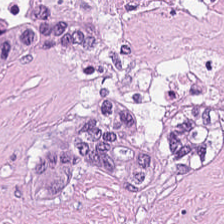Hematoxylin and eosin.
Impression — debris.
